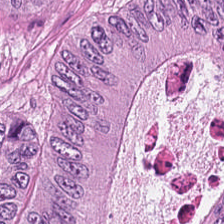Formalin-fixed paraffin-embedded section · hematoxylin-and-eosin stained section. Tumor epithelium.
